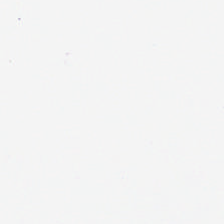Hematoxylin and eosin. 0.5 µm/px. Q: What is shown here?
A: Background (no tissue).
